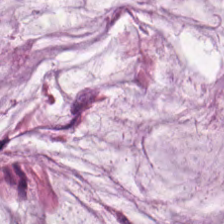H&E — Impression — mucin.
